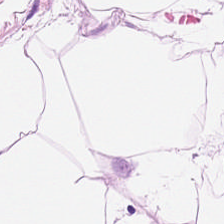0.5 µm per pixel · hematoxylin-and-eosin stained section · 224×224 px tile. {"tissue_type": "adipose"}
